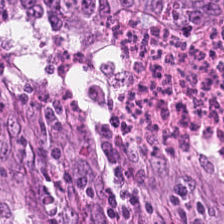H&E-stained tissue section — Q: What is the predominant tissue type?
A: This is colorectal adenocarcinoma epithelium.
